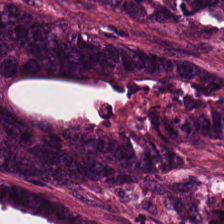Hematoxylin-and-eosin stained section · 0.5 µm per pixel — Predominant tissue = adenocarcinoma.
